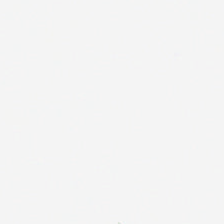Stain: H&E.
Classification: empty background.
